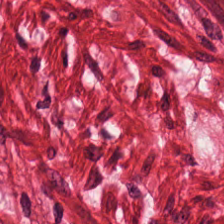Predominant tissue: muscularis.
